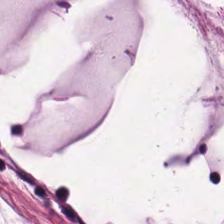0.5 µm per pixel. Hematoxylin-and-eosin stained section. Predominantly mucus.
